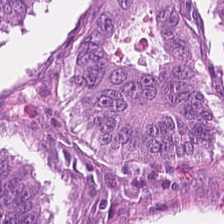The tissue is adenocarcinoma.
